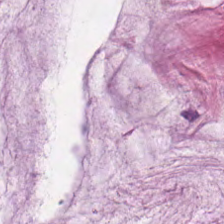Brightfield; H&E stain.
This patch shows mucus.
